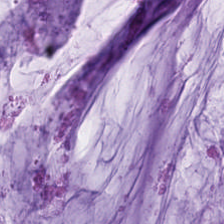Stain: hematoxylin-and-eosin stained section.
Preparation: FFPE tissue section.
Tile size: 224×224 px tile.
Classification: mucus.
